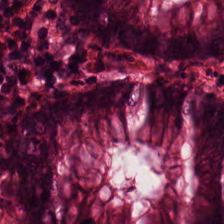H&E — The tissue here is non-neoplastic colon mucosa.
